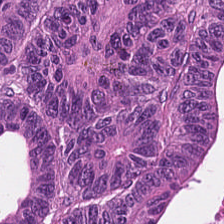H&E — Q: What type of tissue is this?
A: The field shows adenocarcinoma.
